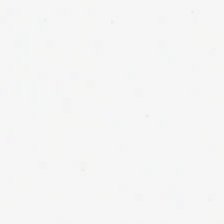Q: Classify this patch.
A: This is background.
